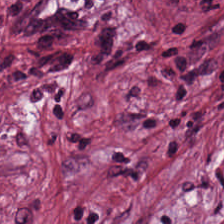Hematoxylin and eosin. Predominantly cancer-associated stroma.
